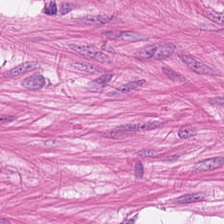Hematoxylin-and-eosin stained section.
Q: Identify the tissue.
A: Smooth-muscle tissue.
